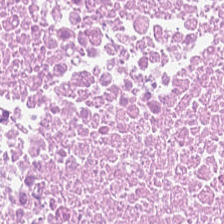Stain: H&E stain.
Predominant tissue: cellular debris.
